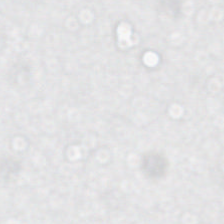Q: What does this patch show?
A: This is background (no tissue).
